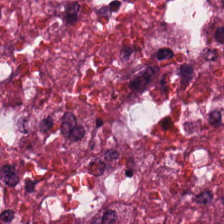The tissue here is cellular debris.
